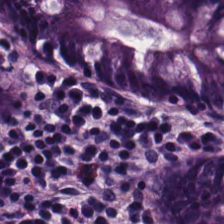H&E — Q: What type of tissue is this?
A: It is non-neoplastic colon mucosa.
